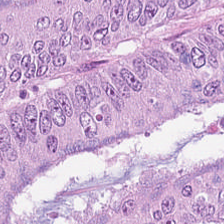0.5 microns per pixel · hematoxylin-and-eosin stained section. This field is colorectal adenocarcinoma epithelium.
